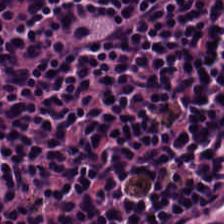H&E-stained tissue section · 0.5 µm per pixel · brightfield — Lymphocyte aggregate.
